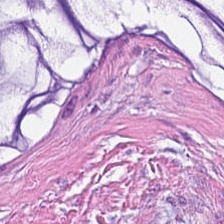Brightfield microscopy; hematoxylin and eosin; FFPE tissue section — This field is mucus.
